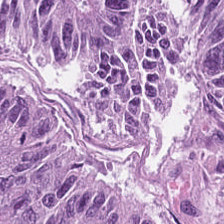Stain: hematoxylin and eosin.
Tissue type: adenocarcinoma.
